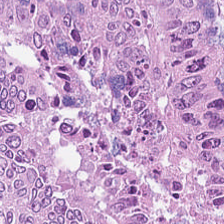Finding — colorectal adenocarcinoma.
